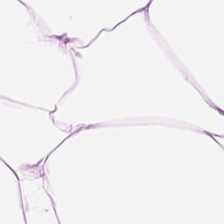FFPE. H&E — Impression — fat tissue.
